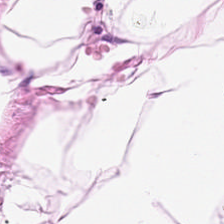H&E. Q: What is shown here?
A: This is fat tissue.
